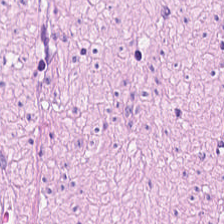Hematoxylin-and-eosin stained section — {"tissue_type": "smooth-muscle tissue"}
